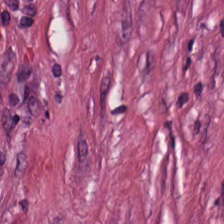H&E-stained tissue section — Tissue = cancer-associated stroma.
